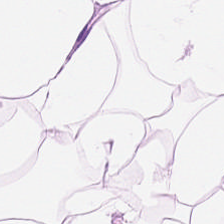224×224 pixel tile. Brightfield microscopy. H&E stain — Predominant tissue — adipose.
